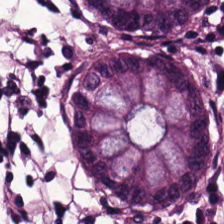H&E stain; formalin-fixed paraffin-embedded section — The predominant tissue is benign colonic mucosa.
